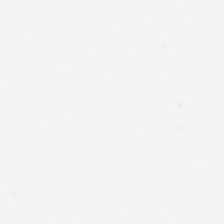{"content": "background"}
